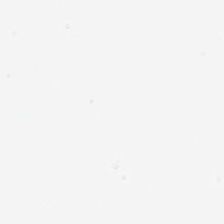Stain: H&E stain.
Acquisition: brightfield.
Resolution: 0.5 µm per pixel.
Field content: no tissue.
